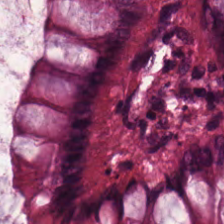Tissue class = normal colonic mucosa.
